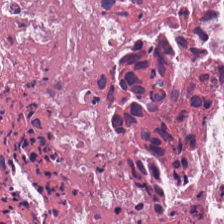Hematoxylin and eosin. 224×224 px patch. 0.5 µm per pixel. This patch shows necrotic debris.
